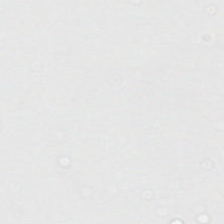Hematoxylin and eosin. This patch shows no tissue.
